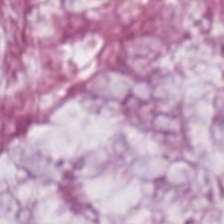FFPE · hematoxylin-and-eosin stained section. Showing mucus.
